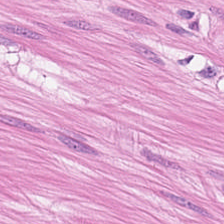H&E stain. 0.5 microns per pixel — Q: What is the predominant tissue type?
A: Smooth-muscle tissue.
